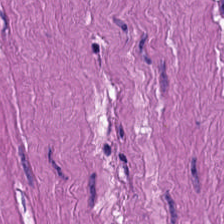H&E — muscularis.
